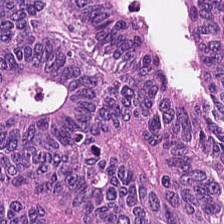This patch shows colorectal adenocarcinoma epithelium.
